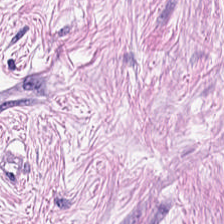FFPE. H&E-stained tissue section. 20× equivalent magnification. Tissue class = tumor-associated stroma.
